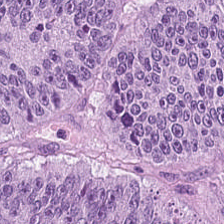Tissue = colorectal adenocarcinoma epithelium.
